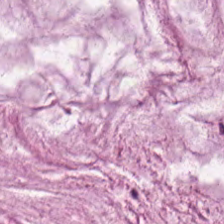H&E — Tissue = mucus.
